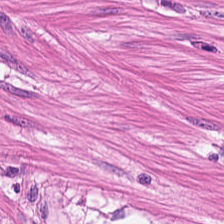Stain: hematoxylin-and-eosin stained section.
Resolution: 0.5 µm/px.
Preparation: formalin-fixed paraffin-embedded section.
Tissue class: smooth muscle.
